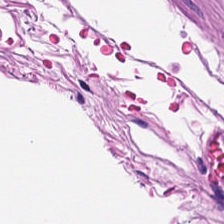Hematoxylin and eosin.
Tissue type — smooth muscle.
